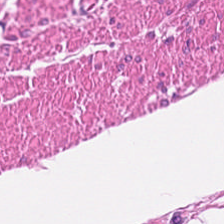Hematoxylin and eosin — Predominantly smooth-muscle tissue.
